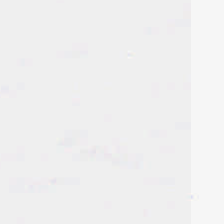H&E-stained tissue section.
Field content: background (no tissue).
